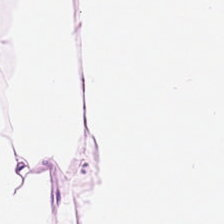Stain: H&E stain.
Tissue: adipose.
